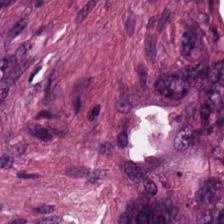H&E stain.
The classification is malignant epithelium.
